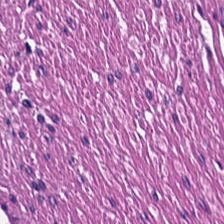224×224 px tile · whole-slide-image patch · H&E stain — Q: What tissue type is shown here?
A: This is smooth-muscle tissue.
